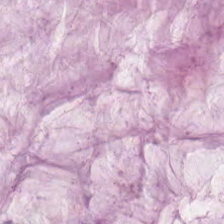H&E-stained tissue section.
This field is mucus.
